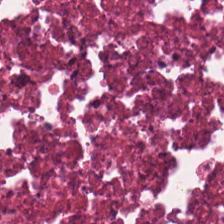H&E. Q: What is shown in this field?
A: Debris.
